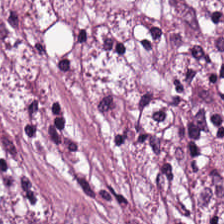H&E.
Predominant tissue — desmoplastic stroma.
